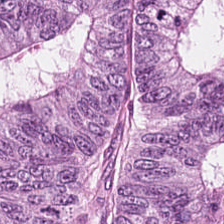Hematoxylin and eosin; 0.5 µm/px. Showing tumor epithelium.
